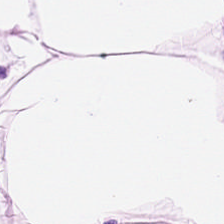Q: What tissue is shown?
A: Fat tissue.
